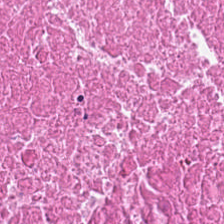H&E stain. Formalin-fixed paraffin-embedded section — Tissue class: cellular debris.
